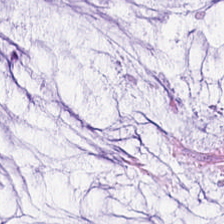H&E. Predominant tissue — mucus.
